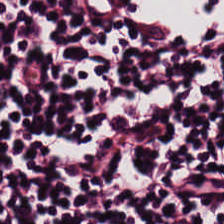Hematoxylin and eosin — Predominantly lymphoid infiltrate.
